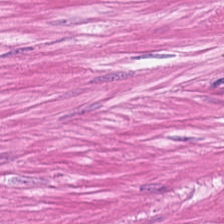H&E-stained tissue section — Tissue class — muscularis.
